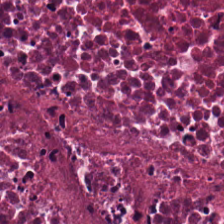Hematoxylin and eosin — Cellular debris.
